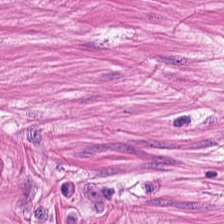Hematoxylin-and-eosin stained section. 224×224 pixel tile.
The tissue type is smooth muscle.
